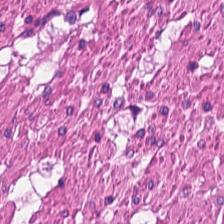Formalin-fixed paraffin-embedded section; H&E. Q: What does this patch show?
A: Muscularis.
